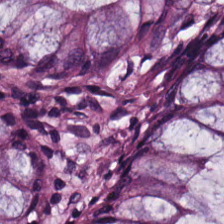H&E stain.
Impression → normal colonic mucosa.
